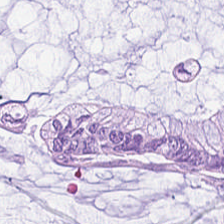H&E.
Extracellular mucin.
